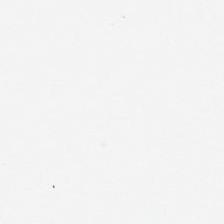Field content — empty background.
